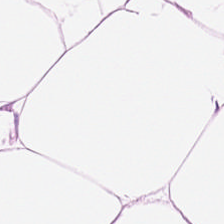H&E-stained tissue section. 20× equivalent magnification.
Impression → adipose.
